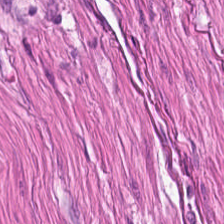H&E stain.
Predominant tissue — smooth muscle.
